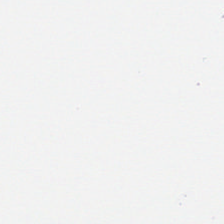Hematoxylin-and-eosin stained section.
{"content": "no tissue"}
